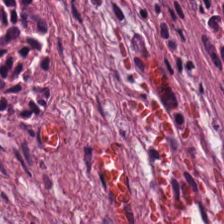H&E. The predominant tissue is desmoplastic stroma.
